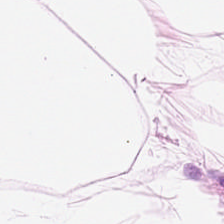Hematoxylin-and-eosin stained section · FFPE. The predominant tissue is adipocytes.
